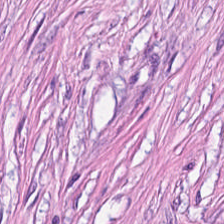Stain: hematoxylin-and-eosin stained section.
Classification: cancer-associated stroma.
